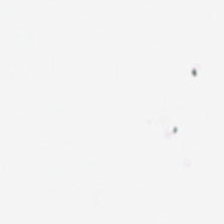Q: What is shown here?
A: The field shows no tissue.
